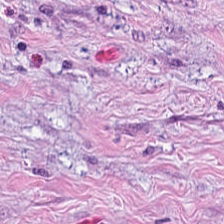Finding — tumor-associated stroma.
